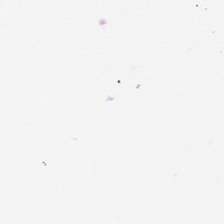Content: empty background.
